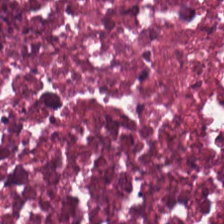Q: What is shown here?
A: It is cellular debris.
